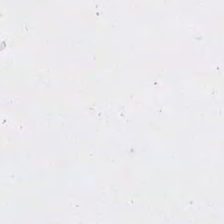Formalin-fixed paraffin-embedded section · hematoxylin-and-eosin stained section — Histology → background (no tissue).
